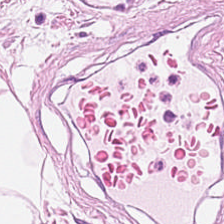0.5 µm per pixel · hematoxylin-and-eosin stained section · FFPE tissue section. This patch shows adipose.
